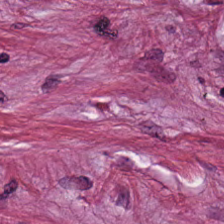224×224 px patch. FFPE tissue section. Hematoxylin-and-eosin stained section. The predominant tissue is desmoplastic stroma.
